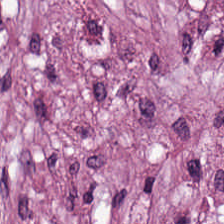20× equivalent magnification; 224×224 px patch; H&E stain — Predominant tissue = desmoplastic stroma.
